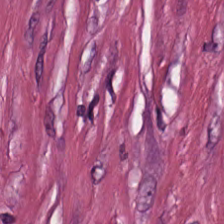224×224 px tile; 0.5 µm/px; H&E stain.
This field is cancer-associated stroma.
